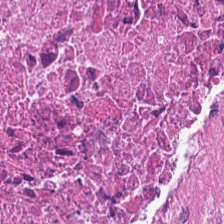Hematoxylin-and-eosin stained section. Predominantly cellular debris.
